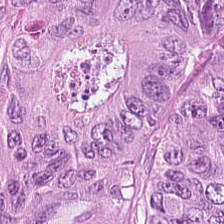Hematoxylin-and-eosin stained section — Tissue class: colorectal adenocarcinoma epithelium.
